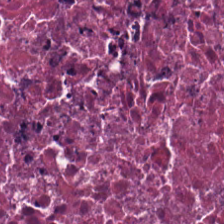Hematoxylin-and-eosin stained section.
The tissue here is debris.
